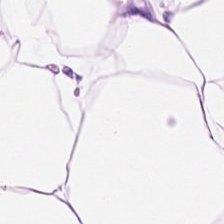Hematoxylin-and-eosin stained section · brightfield.
Q: Identify the tissue.
A: The field shows adipocytes.
